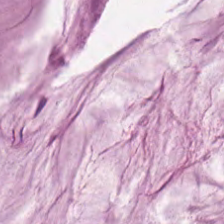H&E-stained tissue section.
This field is extracellular mucin.
